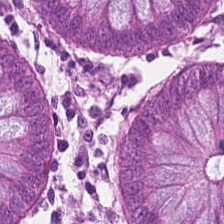20× equivalent magnification; 224×224 px tile; H&E-stained tissue section.
Predominant tissue: normal colonic mucosa.
